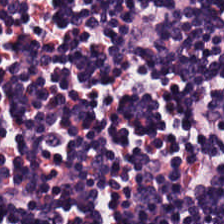Classification: lymphocytic infiltrate.
